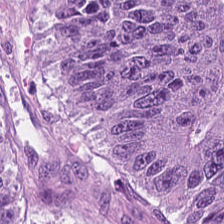{"tissue_type": "colorectal adenocarcinoma epithelium"}
